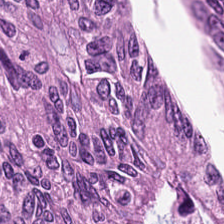Hematoxylin and eosin. Q: What does this patch show?
A: Colorectal adenocarcinoma epithelium.
